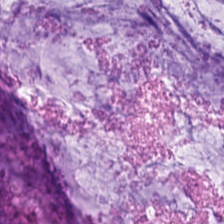H&E-stained section; the field shows extracellular mucin.
